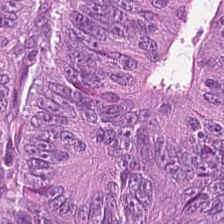Hematoxylin and eosin.
Tissue — adenocarcinoma.
